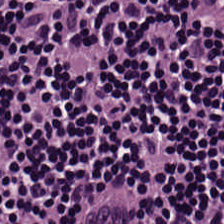Q: What is shown here?
A: It is lymphocyte aggregate.
